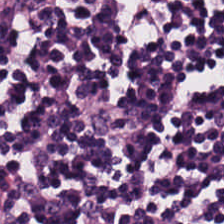Stain: hematoxylin-and-eosin stained section.
Tissue class: lymphoid infiltrate.
